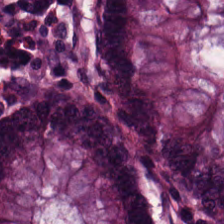Hematoxylin-and-eosin stained section. Q: What is the predominant tissue type?
A: The field shows normal colon mucosa.
